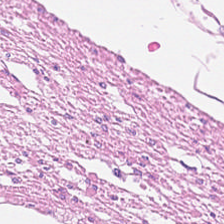Stain: H&E-stained tissue section.
Tissue: muscularis.
